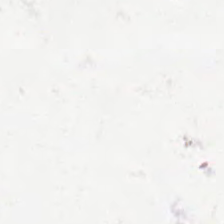H&E.
Content: background (no tissue).
